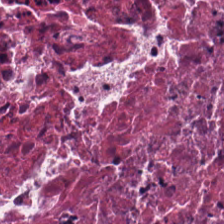H&E-stained tissue section.
The tissue type is necrotic debris.
